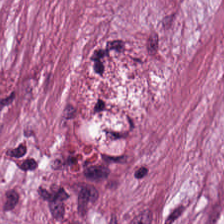20× equivalent magnification; H&E-stained tissue section.
{"tissue_type": "tumor stroma"}
